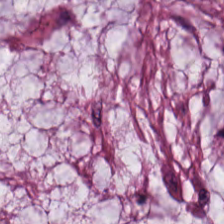H&E; 0.5 µm per pixel; FFPE tissue section — The tissue here is extracellular mucin.
